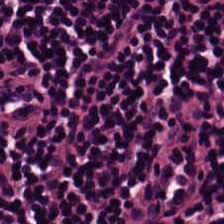Stain: H&E stain.
Tissue type: lymphocyte aggregate.
